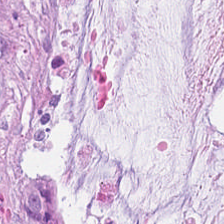Formalin-fixed paraffin-embedded section · WSI patch · H&E.
This field is extracellular mucin.
